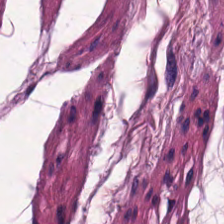Stain: hematoxylin and eosin.
Tissue type: smooth-muscle tissue.
